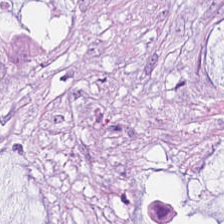Brightfield; H&E — The predominant tissue is mucus.
